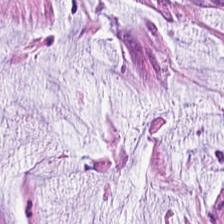H&E — {"tissue_type": "mucin"}
